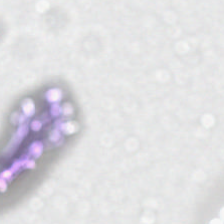Q: Classify this patch.
A: The field shows background (no tissue).
